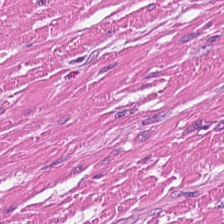Hematoxylin and eosin. Predominantly smooth-muscle tissue.
